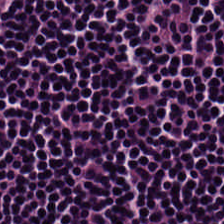H&E stain.
Tissue: lymphocytes.
